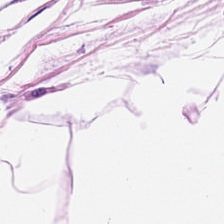H&E-stained tissue section; formalin-fixed paraffin-embedded section — Tissue class = adipocytes.
